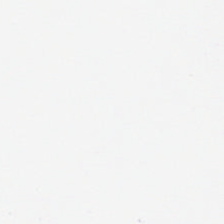224×224 px tile; brightfield; H&E. {"content": "empty background"}
